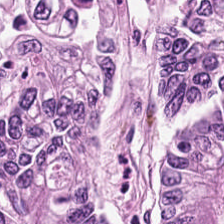Tissue class: colorectal adenocarcinoma epithelium.
